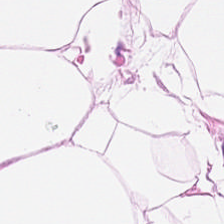H&E stain.
The tissue type is fat tissue.
